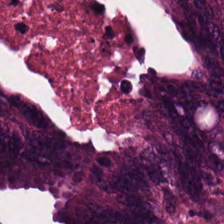224×224 px tile. Hematoxylin and eosin. This field is colorectal adenocarcinoma epithelium.
